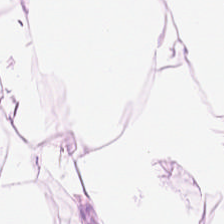H&E; 224×224 px tile; FFPE — Predominantly adipose.
